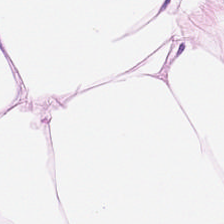H&E-stained tissue section; 224×224 pixel tile; 0.5 microns per pixel.
This patch shows adipose tissue.
